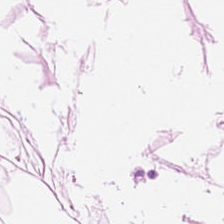H&E-stained tissue section — Tissue type = adipose.
